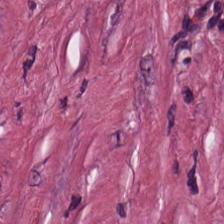Stain: hematoxylin and eosin.
Resolution: 0.5 µm/px.
Tile size: 224×224 pixel tile.
Tissue type: desmoplastic stroma.
